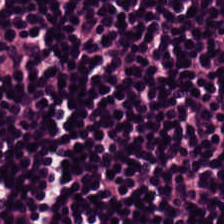Hematoxylin and eosin; formalin-fixed paraffin-embedded section. Q: Identify the tissue.
A: Lymphoid infiltrate.
